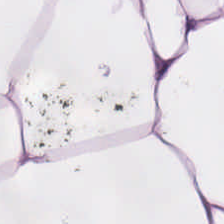H&E stain · 224×224 px tile. Adipocytes.
